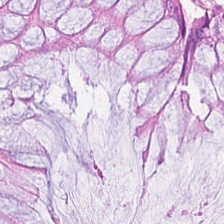Hematoxylin and eosin; 20× equivalent magnification. Tissue class: normal colonic mucosa.
